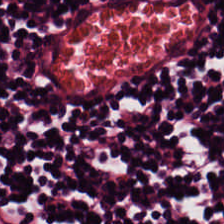The predominant tissue is lymphocyte aggregate.
